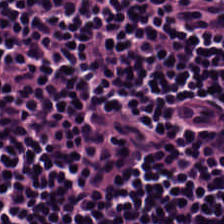Hematoxylin and eosin. Tissue class = lymphoid infiltrate.
